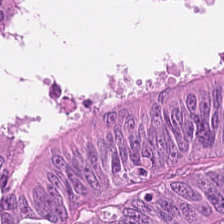{"tissue_type": "colorectal adenocarcinoma"}
